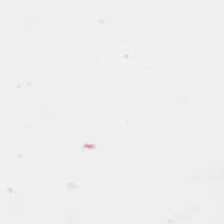Hematoxylin-and-eosin stained section. Q: What is shown in this field?
A: The field shows background.
